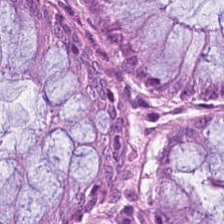Hematoxylin-and-eosin stained section — The classification is normal colonic mucosa.
